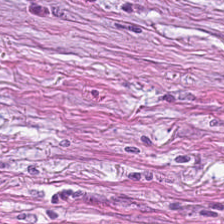Stain: H&E stain.
Tissue type: cancer-associated stroma.
